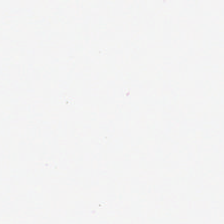Background.
